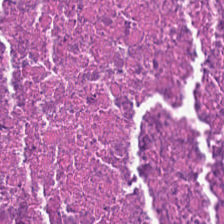H&E.
The tissue type is debris.
